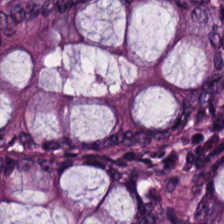224×224 px tile; H&E stain — Predominantly normal colonic mucosa.
